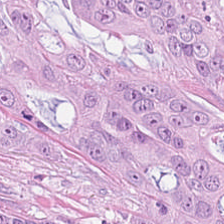H&E — Q: Classify this patch.
A: It is tumor epithelium.
